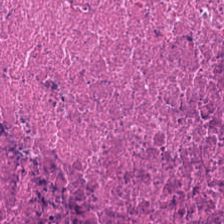Q: What tissue is shown?
A: It is cellular debris.
